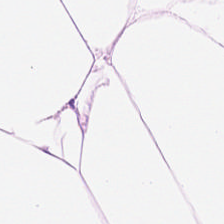Stain: H&E.
Tile size: 224×224 px patch.
Tissue type: adipose tissue.
